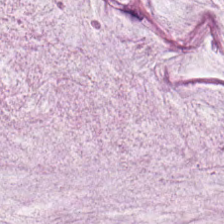Hematoxylin and eosin.
Histology — extracellular mucin.
